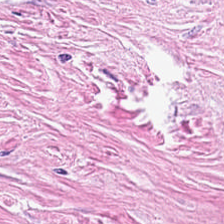H&E-stained tissue section showing tumor-associated stroma.
